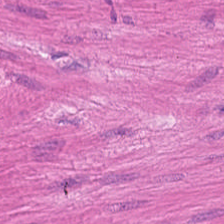The classification is smooth muscle.
